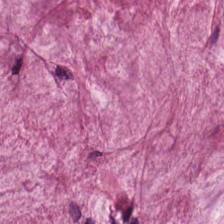{"tissue_type": "mucus"}
